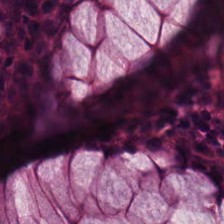{"tissue_type": "benign colonic mucosa"}
